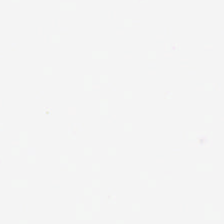H&E; FFPE tissue section.
Histology → no tissue.
